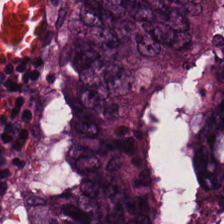Predominant tissue = colorectal adenocarcinoma.
